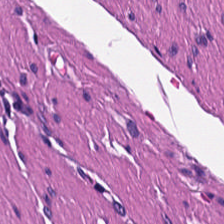H&E.
Showing smooth muscle.
